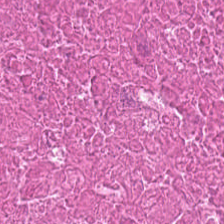Predominantly necrotic debris.
